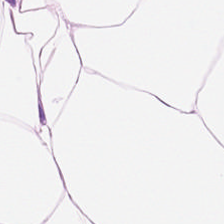Adipocytes.
